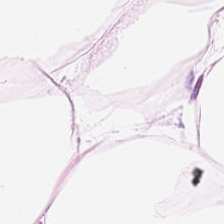H&E; 224×224 pixel tile. Q: Identify the tissue.
A: This is adipose.
